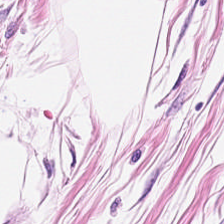FFPE. Brightfield microscopy. H&E-stained tissue section. Tissue type = adipocytes.
